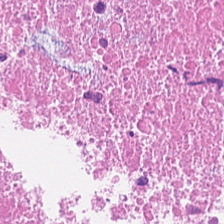Q: Identify the tissue.
A: This is cellular debris.
